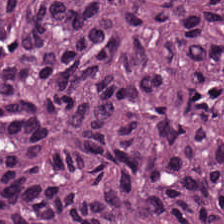Hematoxylin-and-eosin stained section — Adenocarcinoma.
